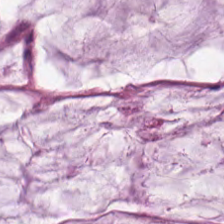The classification is mucin.
